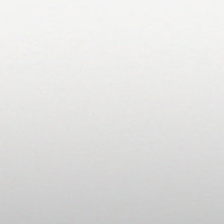Hematoxylin and eosin. 224×224 px tile. FFPE tissue section — Classification = background (no tissue).
